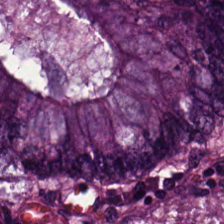{"tissue_type": "colorectal adenocarcinoma"}
